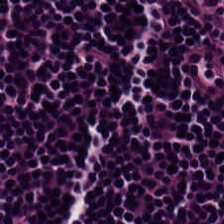Hematoxylin and eosin — This patch shows lymphocytes.
